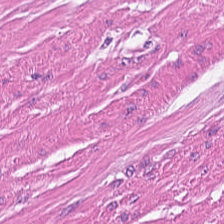H&E-stained tissue section.
Impression → muscularis.
